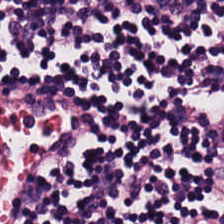Hematoxylin and eosin.
Finding — lymphoid infiltrate.
